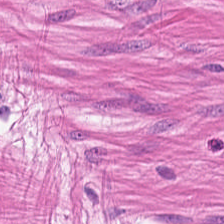0.5 µm per pixel. H&E-stained tissue section. WSI patch. {"tissue_type": "smooth muscle"}
